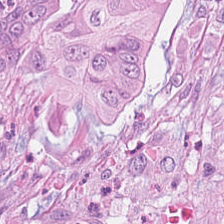Stain: H&E-stained tissue section.
Acquisition: WSI patch.
Resolution: 0.5 µm/px.
Tissue: colorectal adenocarcinoma.
